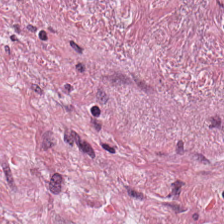H&E stain.
Tissue class — cancer-associated stroma.
